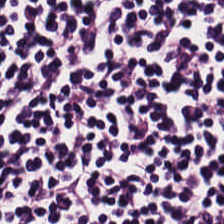Whole-slide-image patch · H&E stain.
Predominantly lymphocytes.
